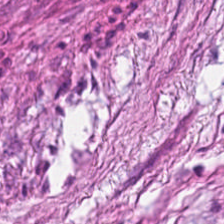Brightfield; hematoxylin and eosin. Showing cancer-associated stroma.
